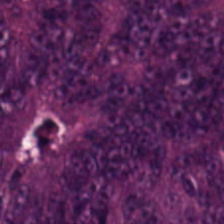Stain: H&E stain.
Tissue type: malignant epithelium.
